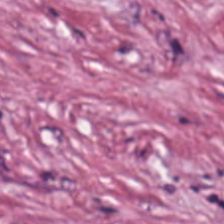This patch shows tumor-associated stroma.
